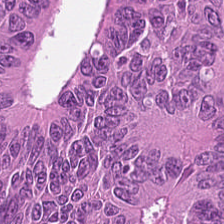0.5 µm per pixel; H&E; WSI patch. Colorectal adenocarcinoma.
